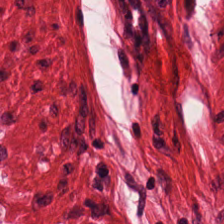The predominant tissue is smooth-muscle tissue.
